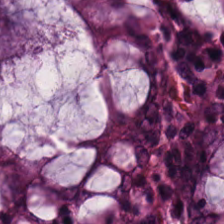Finding — benign colonic mucosa.
